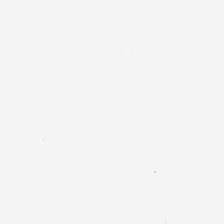Hematoxylin and eosin — Q: What does this patch show?
A: The field shows background.
